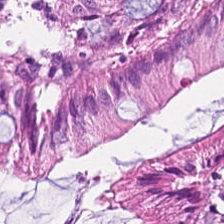{"tissue_type": "benign colonic mucosa"}
